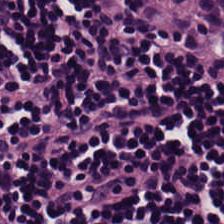Hematoxylin and eosin.
Predominantly lymphocytes.
